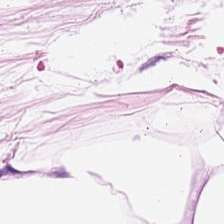Stain: H&E.
Resolution: 0.5 µm per pixel.
Preparation: FFPE tissue section.
Classification: adipose.
